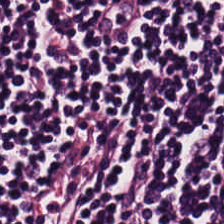H&E — lymphoid infiltrate.
